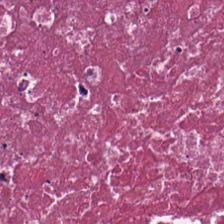H&E — The tissue here is necrotic debris.
